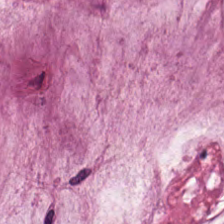Hematoxylin-and-eosin stained section — The predominant tissue is mucin.
